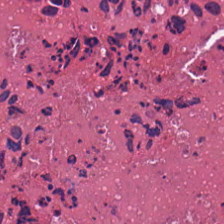H&E-stained tissue section — Impression — necrotic debris.
